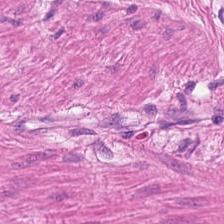H&E; WSI patch. Tissue type: smooth-muscle tissue.
